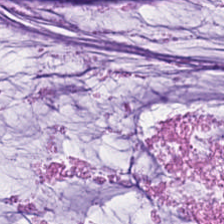H&E stain.
This field is mucus.
